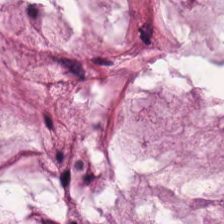H&E stain. 224×224 px patch. Q: What tissue is shown?
A: Mucus.
